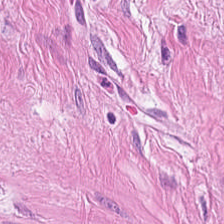H&E-stained tissue section. This patch shows smooth muscle.
